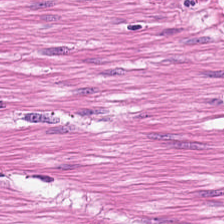Stain: H&E-stained tissue section.
Tile size: 224×224 px patch.
Acquisition: WSI patch.
Tissue class: muscularis.
